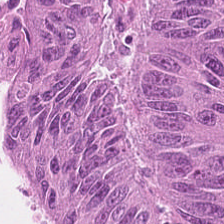FFPE tissue section. Hematoxylin-and-eosin stained section. Histology → colorectal adenocarcinoma epithelium.
